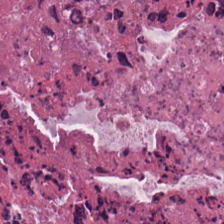Stain: H&E.
Tissue: cellular debris.
